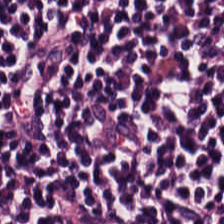Hematoxylin and eosin. The tissue here is lymphocytes.
